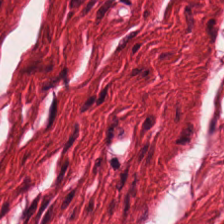Hematoxylin and eosin; whole-slide-image patch; FFPE tissue section — Classification = smooth muscle.
